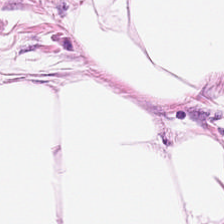The predominant tissue is adipose.
